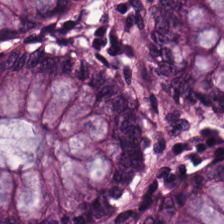Q: What does this patch show?
A: The field shows non-neoplastic colon mucosa.
